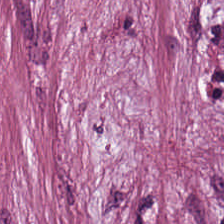This patch shows tumor stroma.
